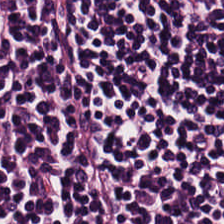Stain: H&E stain.
Tile size: 224×224 px patch.
Acquisition: WSI patch.
Predominant tissue: lymphoid infiltrate.
